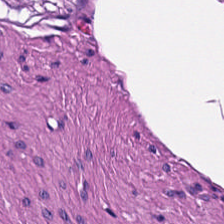Classification: muscularis.
